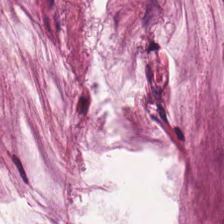Hematoxylin-and-eosin stained section; 224×224 px tile; 0.5 µm/px.
{"tissue_type": "mucus"}
